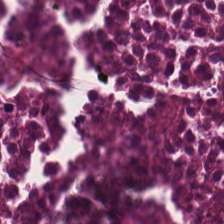Q: What type of tissue is this?
A: This is debris.
